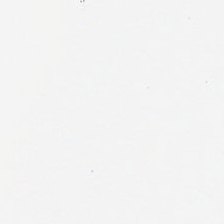H&E.
Background — no tissue in this field.
